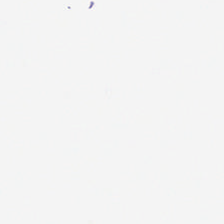20× equivalent magnification. H&E stain — The classification is background.
